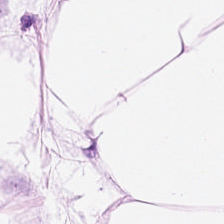Hematoxylin-and-eosin stained section. The tissue is adipose.
